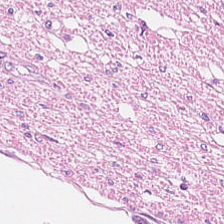H&E · WSI patch · 20× equivalent magnification. {"tissue_type": "smooth-muscle tissue"}
